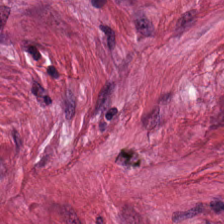Hematoxylin-and-eosin stained section — Predominant tissue — tumor stroma.
